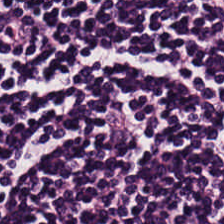Stain: H&E stain.
Predominant tissue: lymphocytic infiltrate.
